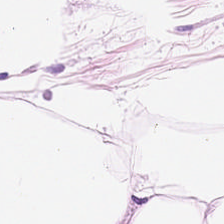Tissue class: adipose tissue.
